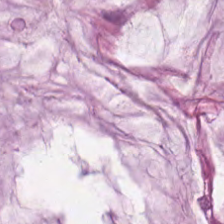Hematoxylin-and-eosin stained section. Tissue: mucus.
